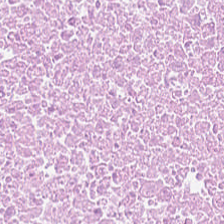H&E-stained tissue section.
Predominantly debris.
